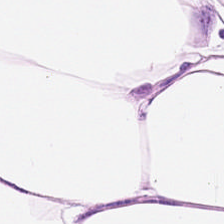H&E-stained tissue section — Q: What is shown here?
A: Adipocytes.
